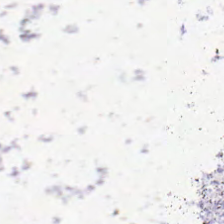Hematoxylin-and-eosin stained section. 0.5 µm/px. FFPE tissue section. This patch shows empty background.
